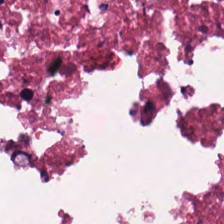Brightfield microscopy. H&E stain — The tissue class is debris.
